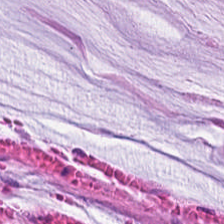Showing mucin.
